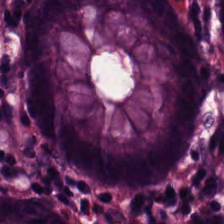H&E stain; 0.5 µm per pixel — Predominantly normal colon mucosa.
